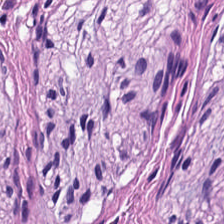H&E; 20× equivalent magnification. Predominantly smooth muscle.
